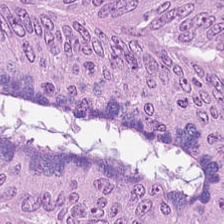FFPE tissue section; hematoxylin and eosin. Classification = malignant epithelium.
